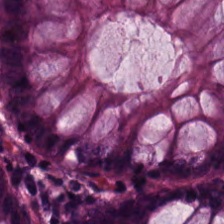Brightfield microscopy; H&E-stained tissue section.
Predominant tissue = normal colonic mucosa.
